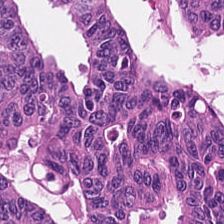Stain: H&E.
Tissue: colorectal adenocarcinoma.
